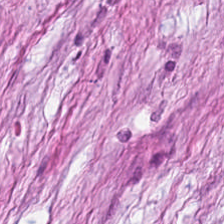Hematoxylin-and-eosin stained section. Tissue = tumor-associated stroma.
